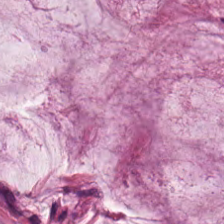Histology — mucus.
